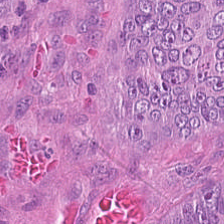20× equivalent magnification; H&E — Predominant tissue — colorectal adenocarcinoma epithelium.
